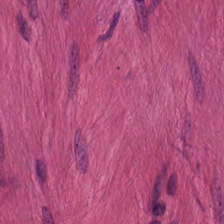H&E stain.
The predominant tissue is smooth muscle.
